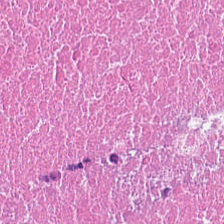Hematoxylin and eosin. 20× equivalent magnification.
This patch shows debris.
